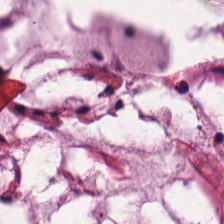Stain: hematoxylin and eosin.
Preparation: FFPE.
Resolution: 0.5 µm per pixel.
Tissue type: extracellular mucin.
